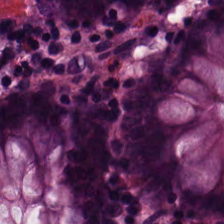Stain: H&E stain.
Tissue: benign colonic mucosa.
